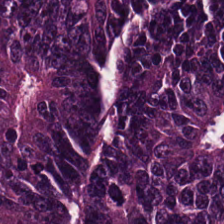H&E stain. Histology → colorectal adenocarcinoma epithelium.
